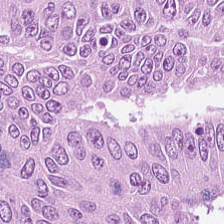224×224 px patch; hematoxylin and eosin; FFPE tissue section — Classification: colorectal adenocarcinoma.
